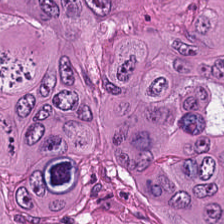Impression → malignant epithelium.
